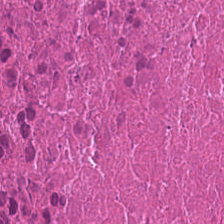224×224 px patch · brightfield · hematoxylin and eosin — {"tissue_type": "necrotic debris"}
